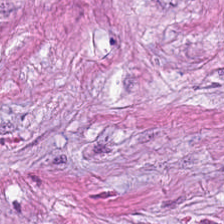224×224 pixel tile; H&E-stained tissue section; 0.5 µm per pixel. The tissue here is tumor-associated stroma.
